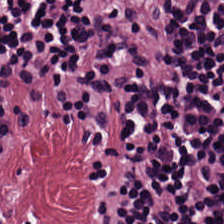Formalin-fixed paraffin-embedded section; hematoxylin-and-eosin stained section; whole-slide-image patch — Q: What is shown in this field?
A: This is lymphocytes.
